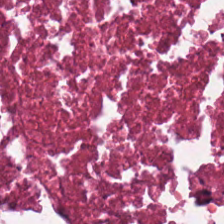H&E-stained tissue section.
The tissue type is debris.
